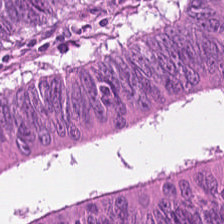Formalin-fixed paraffin-embedded section. 0.5 microns per pixel. H&E-stained tissue section — The tissue here is adenocarcinoma.
